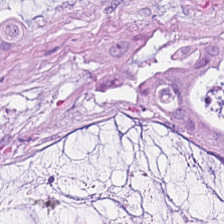Formalin-fixed paraffin-embedded section; 224×224 px patch; H&E-stained tissue section. Histology — mucus.
